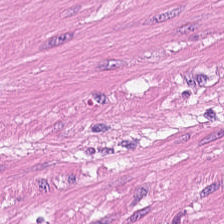H&E stain.
Predominant tissue = smooth-muscle tissue.
